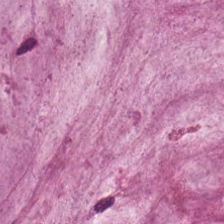Stain: H&E stain.
Tissue class: mucin.
